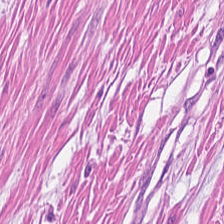Hematoxylin-and-eosin stained section; WSI patch. Predominant tissue — smooth-muscle tissue.
